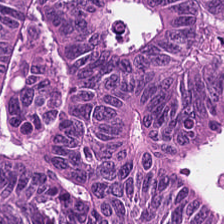224×224 px tile · H&E-stained tissue section — Histology — malignant epithelium.
